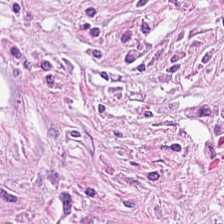Hematoxylin-and-eosin stained section — The tissue here is tumor stroma.
